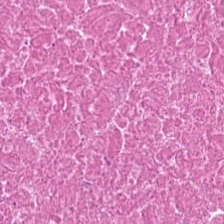0.5 µm per pixel · hematoxylin-and-eosin stained section · FFPE.
Tissue: necrotic debris.
